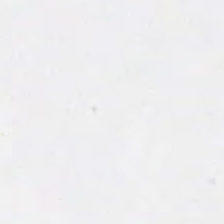H&E stain.
This field is background (no tissue).
